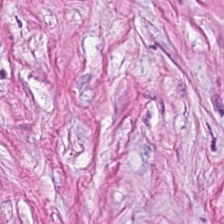Stain: hematoxylin and eosin.
Classification: tumor stroma.
